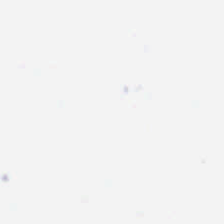H&E-stained tissue section · 0.5 µm per pixel — Q: Classify this patch.
A: It is background (no tissue).
